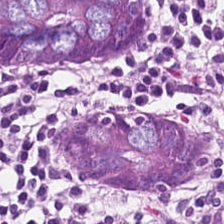H&E stain — Q: What does this patch show?
A: It is benign colonic mucosa.
